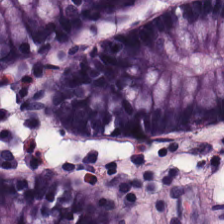Hematoxylin and eosin; whole-slide-image patch.
Impression — non-neoplastic colon mucosa.
